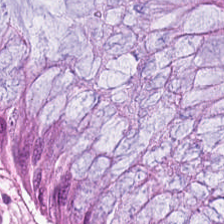Stain: H&E stain.
Tile size: 224×224 px tile.
Tissue type: normal colonic mucosa.
